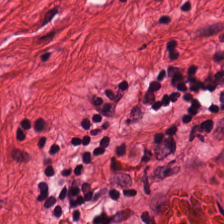Hematoxylin-and-eosin stained section · 224×224 px tile. {"tissue_type": "smooth-muscle tissue"}
